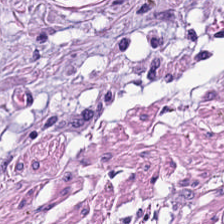Hematoxylin-and-eosin stained section — Tissue type: muscularis.
